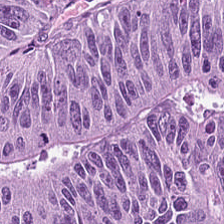224×224 px tile · H&E-stained tissue section — The predominant tissue is colorectal adenocarcinoma.
